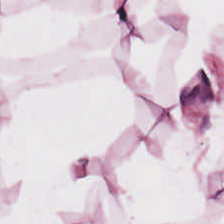0.5 µm/px. Hematoxylin-and-eosin stained section. Impression → adipocytes.
